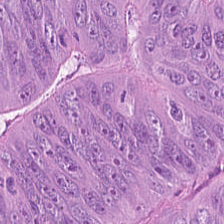H&E · brightfield microscopy — This field is malignant epithelium.
